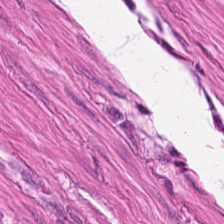Hematoxylin-and-eosin stained section · FFPE. Tissue type: muscularis.
